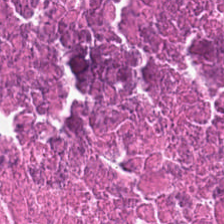The predominant tissue is cellular debris.
